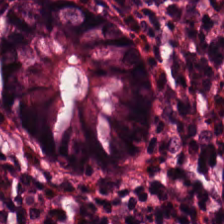H&E. Brightfield microscopy. 224×224 px tile — Tissue: normal colonic mucosa.
